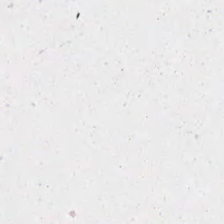H&E stain.
This field is background (no tissue).
